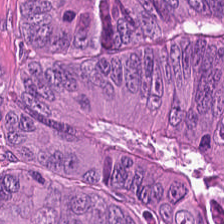H&E stain.
Q: What type of tissue is this?
A: It is malignant epithelium.
